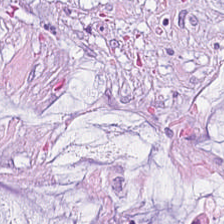Hematoxylin-and-eosin stained section; WSI patch; 224×224 pixel tile — Predominantly extracellular mucin.
